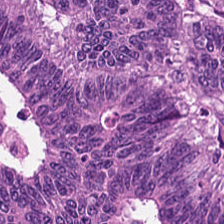Hematoxylin and eosin.
This field is tumor epithelium.
